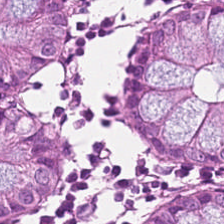Hematoxylin and eosin. Q: What tissue is shown?
A: The field shows normal colon mucosa.
